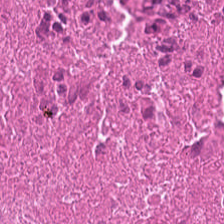Predominantly necrotic debris.
